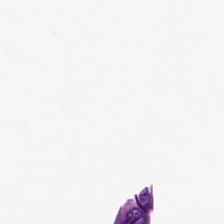Hematoxylin and eosin; 224×224 px tile.
Impression — background.
